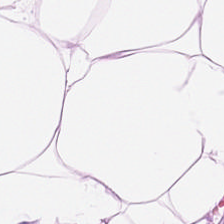Stain: H&E stain.
Tissue: fat tissue.
